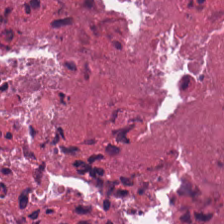Hematoxylin-and-eosin section: debris.
